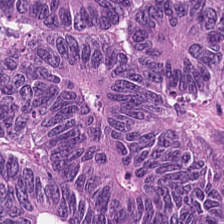Predominant tissue = tumor epithelium.
